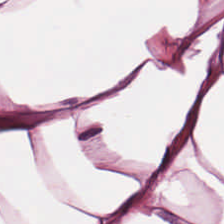H&E stain. Tissue = fat tissue.
